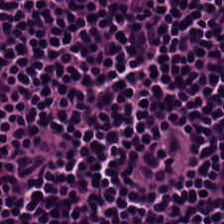H&E.
Tissue type: lymphocytic infiltrate.
